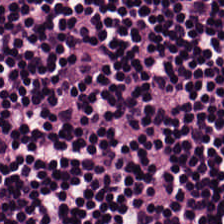Formalin-fixed paraffin-embedded section; H&E stain. Classification — lymphocytes.
